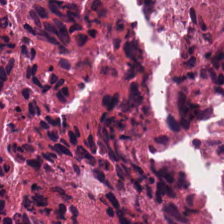224×224 px patch; H&E; 0.5 microns per pixel. Q: What does this patch show?
A: The field shows cellular debris.
